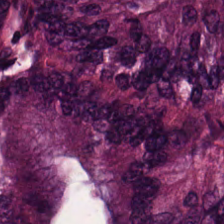Stain: hematoxylin-and-eosin stained section.
Tissue class: colorectal adenocarcinoma epithelium.
